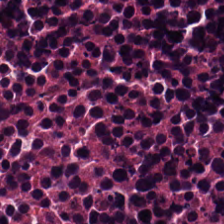Hematoxylin-and-eosin stained section. 20× equivalent magnification. Q: What tissue is shown?
A: The field shows necrotic debris.
